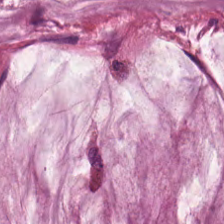Tissue — mucus.
